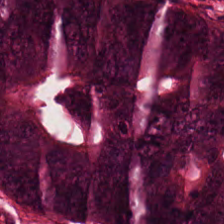H&E. Impression → colorectal adenocarcinoma.
